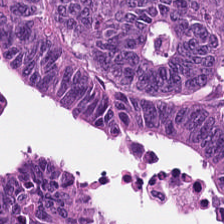Stain: H&E-stained tissue section.
Acquisition: brightfield microscopy.
Classification: tumor epithelium.
